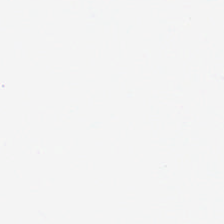Stain: hematoxylin-and-eosin stained section.
Classification: empty background.
